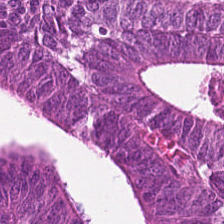H&E — Predominant tissue — malignant epithelium.
